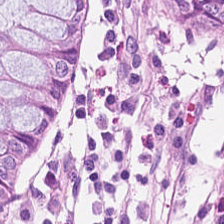20× equivalent magnification; H&E. Tissue type: non-neoplastic colon mucosa.
